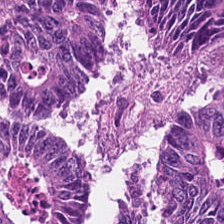FFPE. H&E stain — Q: What type of tissue is this?
A: The field shows colorectal adenocarcinoma epithelium.
